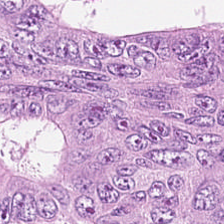H&E-stained tissue section. Tissue: adenocarcinoma.
